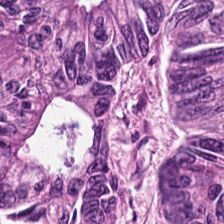H&E-stained tissue section — Q: Identify the tissue.
A: The field shows colorectal adenocarcinoma.
